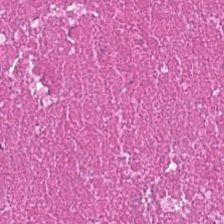H&E; 0.5 µm/px.
Q: What tissue type is shown here?
A: This is debris.
